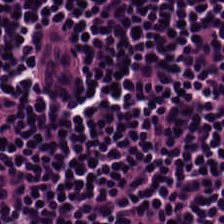Brightfield. H&E-stained tissue section. Formalin-fixed paraffin-embedded section. The tissue type is lymphocytes.
